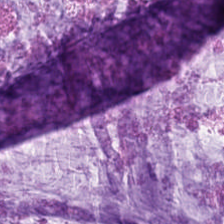FFPE tissue section. Hematoxylin-and-eosin stained section. Predominant tissue = mucin.
